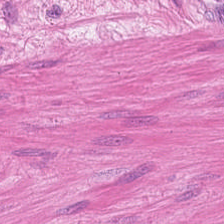H&E; 224×224 px patch — Q: What is shown in this field?
A: Smooth muscle.
